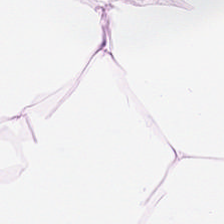The predominant tissue is fat tissue.
